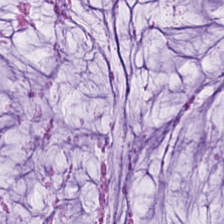H&E · 0.5 µm/px.
Impression → mucin.
